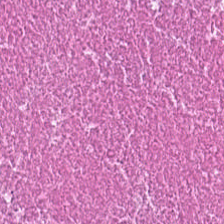H&E — debris.
